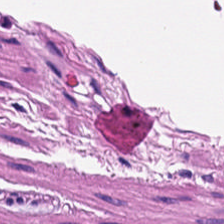Hematoxylin and eosin — Q: What tissue type is shown here?
A: This is smooth muscle.
